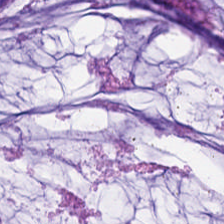H&E — Finding → mucin.
